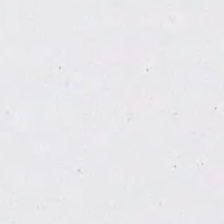Hematoxylin and eosin — Background.
